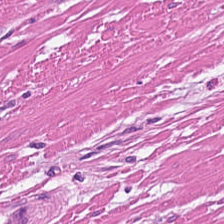Hematoxylin and eosin · brightfield · 0.5 µm/px. The classification is smooth muscle.
